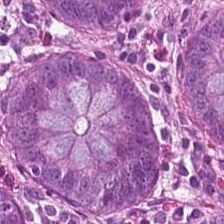Hematoxylin and eosin. Normal colonic mucosa.
